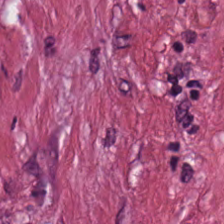Stain: hematoxylin-and-eosin stained section.
Tissue: tumor stroma.
